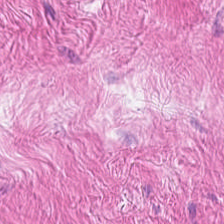Stain: H&E stain.
Tissue class: smooth-muscle tissue.
